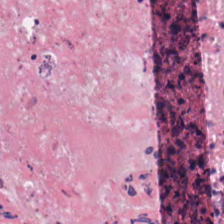H&E stain.
This patch shows necrotic debris.
